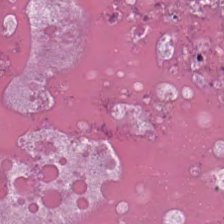H&E-stained tissue section. 224×224 pixel tile. Brightfield microscopy — Q: What is shown here?
A: The field shows cellular debris.
